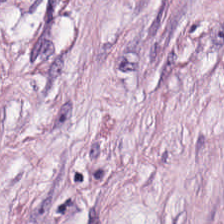Hematoxylin-and-eosin stained section.
Predominant tissue — tumor stroma.
